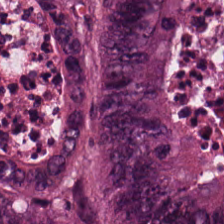Hematoxylin and eosin — This patch shows adenocarcinoma.
